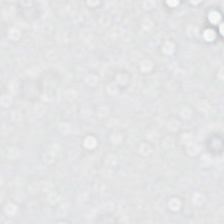H&E — The content is background.
